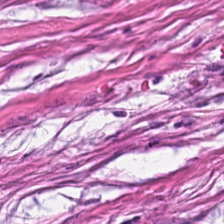Stain: hematoxylin and eosin.
Tissue type: cancer-associated stroma.
